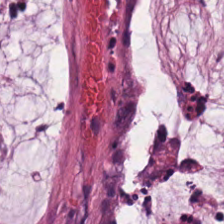H&E stain — Showing mucus.
